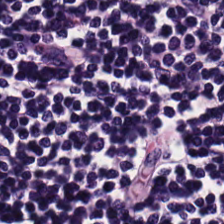Stain: hematoxylin-and-eosin stained section.
Tissue: lymphoid infiltrate.
